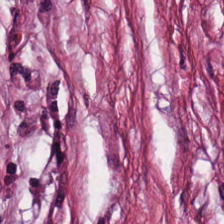H&E-stained tissue section · 20× equivalent magnification · brightfield microscopy. Predominantly tumor-associated stroma.
